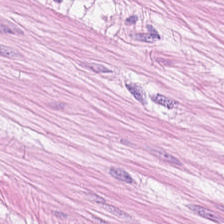Hematoxylin-and-eosin stained section; brightfield — Predominantly smooth muscle.
